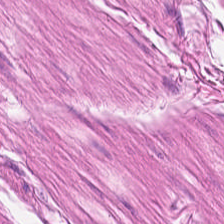Hematoxylin-and-eosin stained section — The predominant tissue is muscularis.
